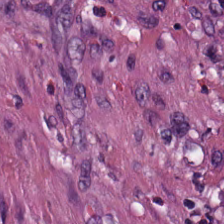Predominantly cancer-associated stroma.
